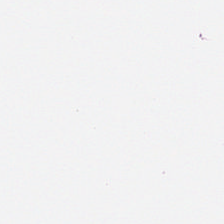Background — no tissue in this field.
